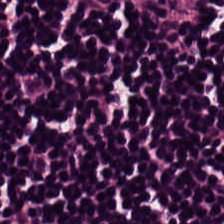Hematoxylin-and-eosin stained section. 0.5 microns per pixel — Tissue = lymphoid infiltrate.
